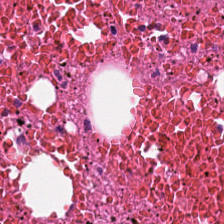Tissue = debris.
